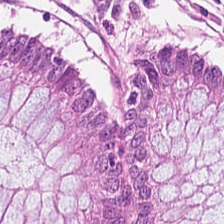0.5 µm per pixel. Hematoxylin and eosin. The predominant tissue is normal colon mucosa.
